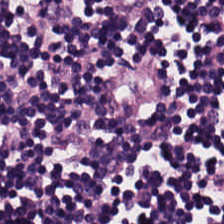Q: What is the predominant tissue type?
A: It is lymphoid infiltrate.
